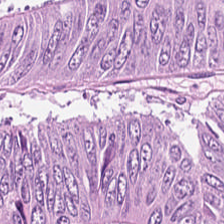Stain: H&E.
Preparation: formalin-fixed paraffin-embedded section.
Resolution: 0.5 µm/px.
Classification: colorectal adenocarcinoma epithelium.
